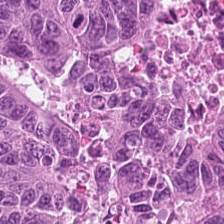Stain: hematoxylin and eosin.
Tile size: 224×224 pixel tile.
Tissue type: colorectal adenocarcinoma.
